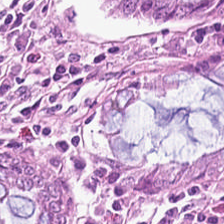H&E-stained tissue section. The tissue here is normal colonic mucosa.
